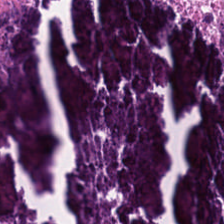The tissue class is cellular debris.
